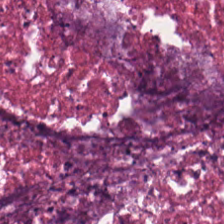H&E stain · 224×224 pixel tile.
Q: What tissue type is shown here?
A: The field shows necrotic debris.
